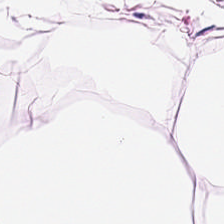H&E stain · 224×224 px patch · 0.5 µm/px.
Impression — adipose.
